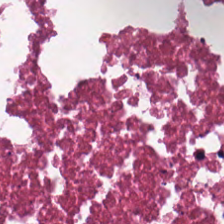Hematoxylin and eosin · whole-slide-image patch — Classification = cellular debris.
